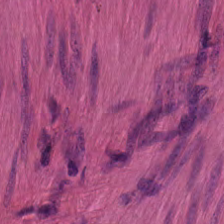FFPE tissue section. Brightfield microscopy. Hematoxylin-and-eosin stained section.
Showing muscularis.
